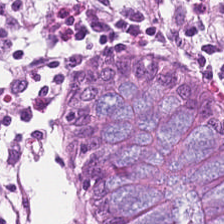Tissue class: benign colonic mucosa.
